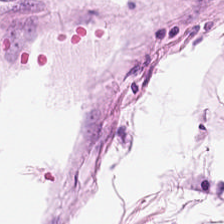Impression → adipocytes.
